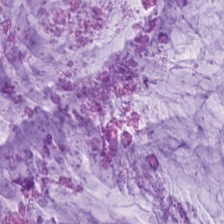224×224 pixel tile; hematoxylin-and-eosin stained section — The predominant tissue is mucin.
